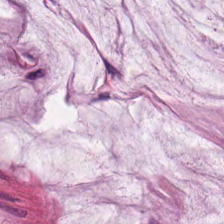H&E.
Q: What is shown in this field?
A: The field shows extracellular mucin.
